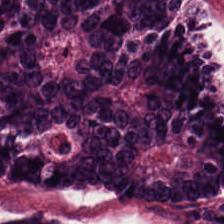Brightfield microscopy · hematoxylin and eosin. {"tissue_type": "colorectal adenocarcinoma epithelium"}
